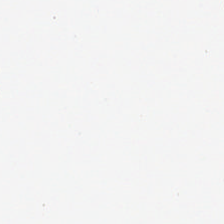H&E · brightfield — Empty field — background (no tissue).
